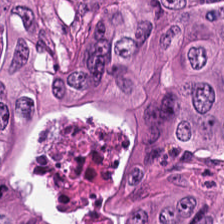Hematoxylin-and-eosin stained section. 224×224 px tile.
Histology — tumor epithelium.
